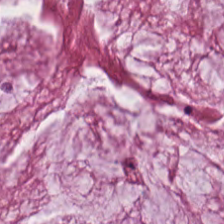Hematoxylin and eosin · 224×224 px tile.
This patch shows mucin.
